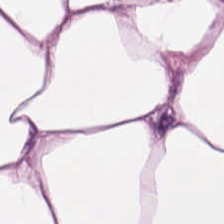Hematoxylin-and-eosin stained section · 20× equivalent magnification.
This patch shows adipocytes.
